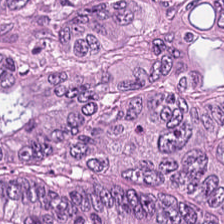H&E-stained tissue section. {"tissue_type": "adenocarcinoma"}
